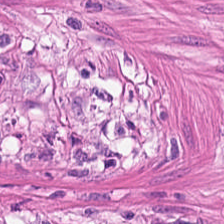Hematoxylin-and-eosin stained section.
This field is smooth-muscle tissue.
